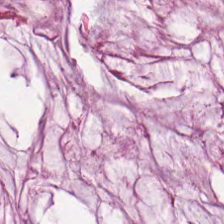Hematoxylin and eosin.
This field is extracellular mucin.
